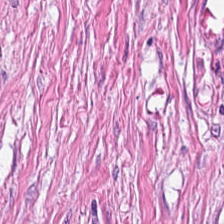Predominantly tumor stroma.
